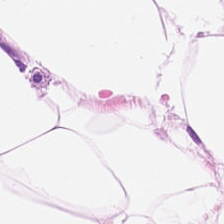H&E.
Fat tissue.
